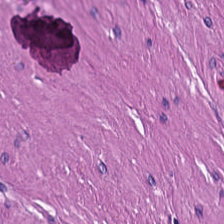Hematoxylin-and-eosin stained section · 20× equivalent magnification. Tissue type = muscularis.
